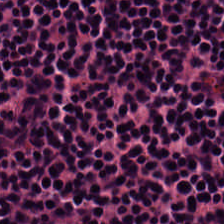Stain: hematoxylin and eosin.
Tissue: lymphocytes.
